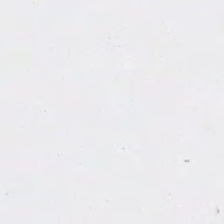Background (no tissue).
